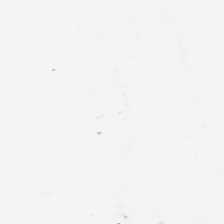H&E — No tissue.
